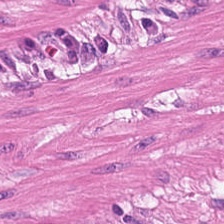Hematoxylin and eosin.
Finding — muscularis.
